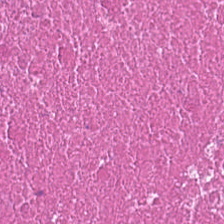Brightfield. 20× equivalent magnification. H&E. {"tissue_type": "debris"}
